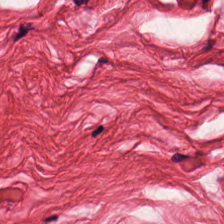Tissue type = muscularis.
